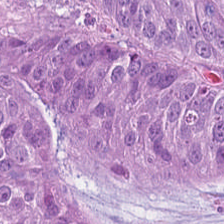0.5 µm per pixel · FFPE · H&E-stained tissue section. The tissue here is malignant epithelium.
